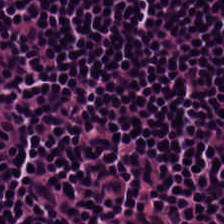Hematoxylin-and-eosin stained section. WSI patch. FFPE. Tissue class = lymphocytic infiltrate.
